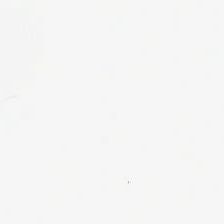Q: Classify this patch.
A: It is background.
